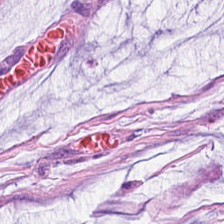Hematoxylin-and-eosin stained section. Brightfield microscopy.
The predominant tissue is mucus.
